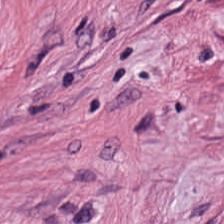H&E — Q: What type of tissue is this?
A: Desmoplastic stroma.
